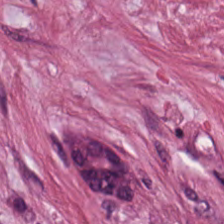224×224 pixel tile. Hematoxylin and eosin — Tissue: tumor-associated stroma.
